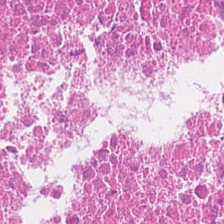Hematoxylin and eosin — Finding → necrotic debris.
